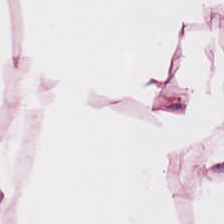WSI patch. H&E.
The predominant tissue is adipocytes.
